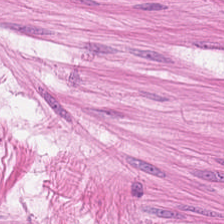Hematoxylin-and-eosin stained section.
Q: What is shown here?
A: It is smooth muscle.
